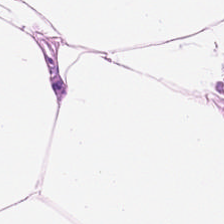Formalin-fixed paraffin-embedded section. Whole-slide-image patch. H&E stain. Finding → adipose.
